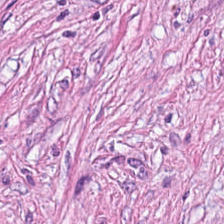Hematoxylin and eosin. 224×224 pixel tile. FFPE tissue section.
Finding — desmoplastic stroma.
